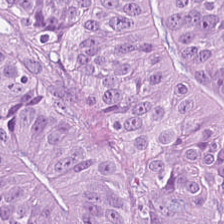Stain: H&E.
Predominant tissue: colorectal adenocarcinoma.
